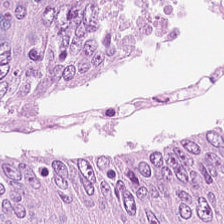Finding — colorectal adenocarcinoma.
